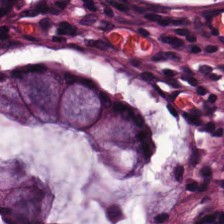The classification is normal colon mucosa.
